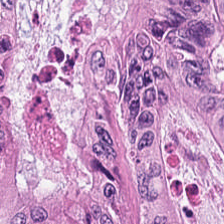224×224 px tile; brightfield; H&E — Impression → malignant epithelium.
